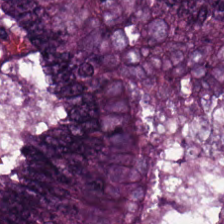Hematoxylin and eosin. This patch shows colorectal adenocarcinoma epithelium.
